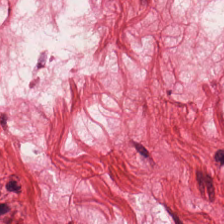Finding — muscularis.
